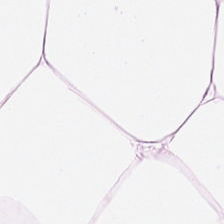Hematoxylin and eosin. The predominant tissue is adipocytes.
